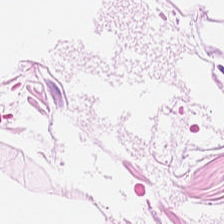Hematoxylin-and-eosin stained section.
Predominantly adipocytes.
